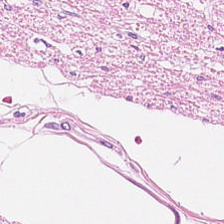Classification = smooth-muscle tissue.
